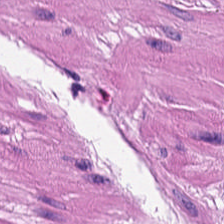H&E. Histology → smooth-muscle tissue.
